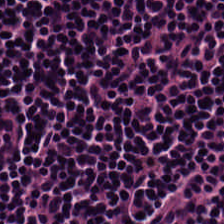Stain: hematoxylin-and-eosin stained section.
Resolution: 0.5 microns per pixel.
Preparation: FFPE tissue section.
Tissue: lymphocytic infiltrate.
